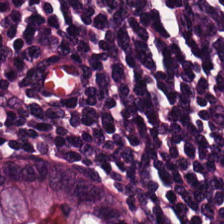Stain: H&E-stained tissue section.
Acquisition: brightfield.
Predominant tissue: lymphoid infiltrate.
